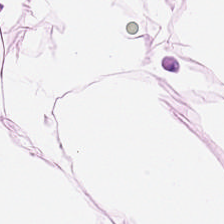Hematoxylin-and-eosin stained section · 224×224 px tile · FFPE tissue section. Finding → fat tissue.
